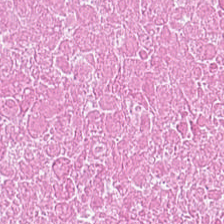Hematoxylin-and-eosin stained section; WSI patch. Q: What type of tissue is this?
A: Necrotic debris.
